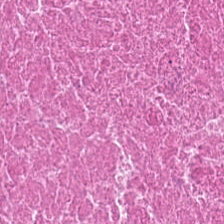H&E stain — {"tissue_type": "necrotic debris"}
